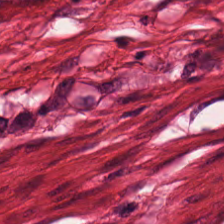The tissue type is muscularis.
